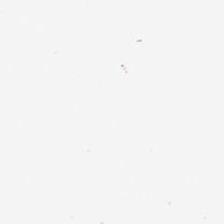Stain: hematoxylin and eosin.
Classification: background (no tissue).
